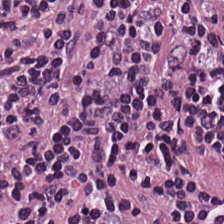This patch shows lymphocyte aggregate.
